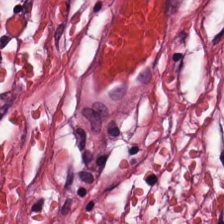0.5 microns per pixel · 224×224 px patch · H&E stain.
Tissue class — desmoplastic stroma.
